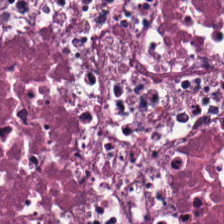Hematoxylin and eosin. Tissue type = necrotic debris.
